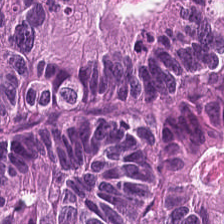Formalin-fixed paraffin-embedded section · H&E-stained tissue section. Tissue class — colorectal adenocarcinoma epithelium.
